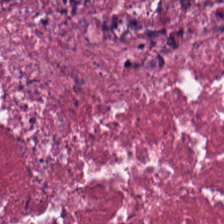224×224 px tile. Hematoxylin and eosin.
Predominantly cellular debris.
